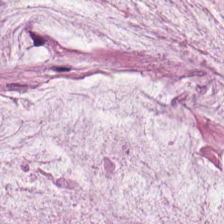Stain: H&E.
Tile size: 224×224 px tile.
Acquisition: whole-slide-image patch.
Classification: mucus.
